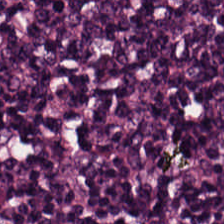Stain: hematoxylin and eosin.
Tissue type: lymphocyte aggregate.
